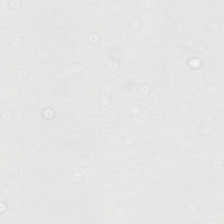Stain: hematoxylin-and-eosin stained section.
Classification: background (no tissue).
